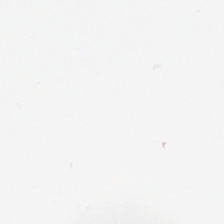Stain: hematoxylin-and-eosin stained section.
Content: empty background.
